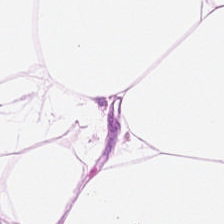FFPE · H&E-stained tissue section. This patch shows adipose tissue.
